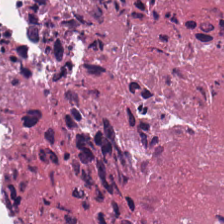Q: What is shown in this field?
A: This is necrotic debris.
